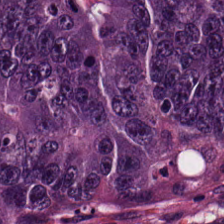{"tissue_type": "adenocarcinoma"}
